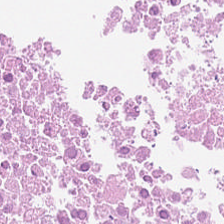Stain: hematoxylin and eosin.
Tissue: cellular debris.
